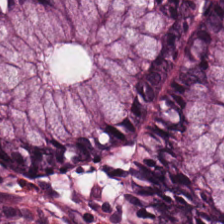Q: What is shown here?
A: It is normal colon mucosa.
